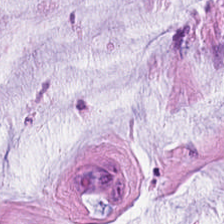Stain: H&E.
Tissue type: mucin.
